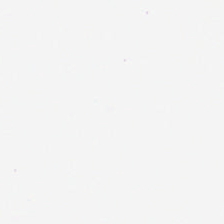H&E — This patch shows background (no tissue).
